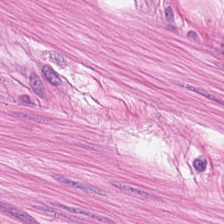Hematoxylin-and-eosin stained section — Predominant tissue = muscularis.
